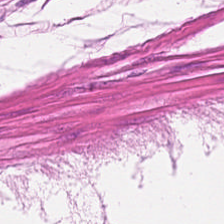Showing muscularis.
